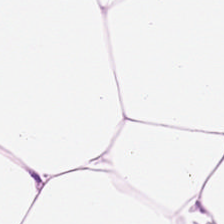Hematoxylin-and-eosin stained section — Showing adipose tissue.
